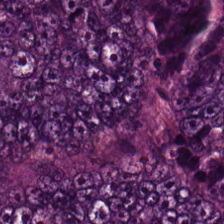Formalin-fixed paraffin-embedded section · H&E stain — The predominant tissue is colorectal adenocarcinoma.
